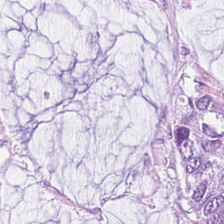H&E-stained tissue section.
The predominant tissue is extracellular mucin.
